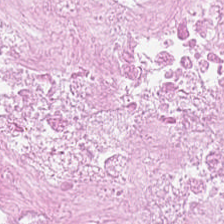H&E-stained tissue section. Tissue type: debris.
